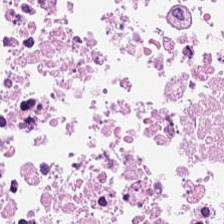H&E. FFPE tissue section.
{"tissue_type": "cellular debris"}
